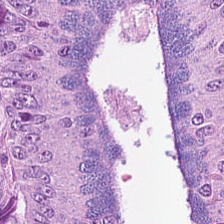Brightfield microscopy · H&E-stained tissue section.
Predominant tissue — adenocarcinoma.
